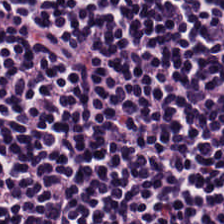Hematoxylin-and-eosin section: lymphocytes.
